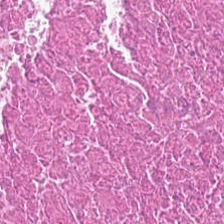Q: Identify the tissue.
A: This is debris.
